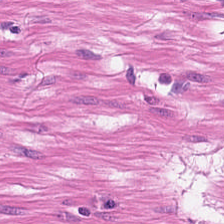Classification: muscularis.
